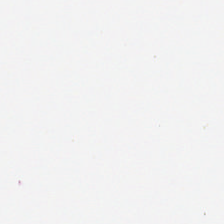Background — no tissue in this field.
